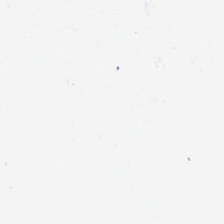0.5 µm/px · hematoxylin-and-eosin stained section — Content — background (no tissue).
